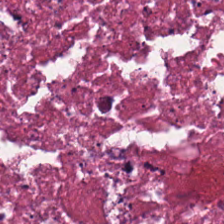Hematoxylin and eosin. {"tissue_type": "cellular debris"}
